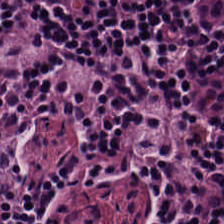H&E. FFPE tissue section.
Q: What does this patch show?
A: Lymphocytes.
